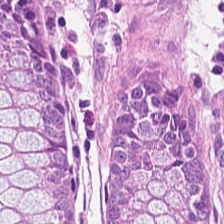Hematoxylin and eosin.
Tissue — normal colon mucosa.
